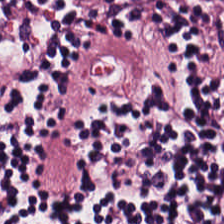Formalin-fixed paraffin-embedded section; H&E-stained tissue section; brightfield — Tissue class — lymphocytic infiltrate.
